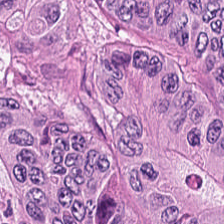H&E-stained tissue section.
Malignant epithelium.
